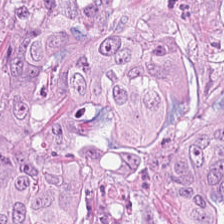Stain: hematoxylin-and-eosin stained section.
Tissue: tumor epithelium.
